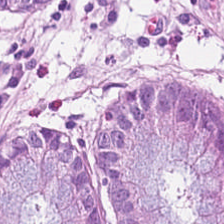FFPE · H&E · 224×224 px patch.
{"tissue_type": "non-neoplastic colon mucosa"}
